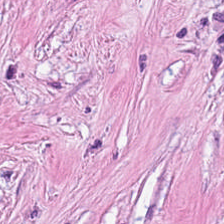H&E — Tumor stroma.
